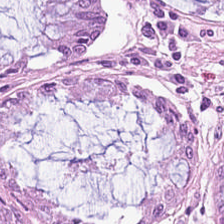224×224 px tile · hematoxylin and eosin — This field is non-neoplastic colon mucosa.
